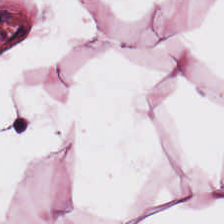Brightfield microscopy. H&E. 0.5 µm per pixel — Q: What is shown here?
A: It is adipocytes.
